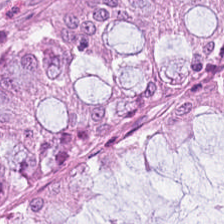Brightfield · hematoxylin-and-eosin stained section.
The tissue here is normal colonic mucosa.
